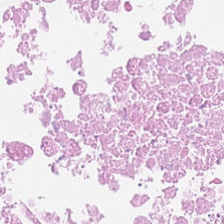H&E stain.
Finding → debris.
